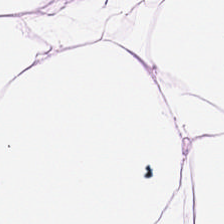The tissue class is adipose.
